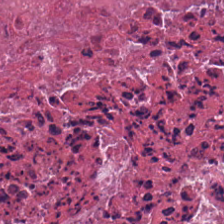The tissue here is cellular debris.
